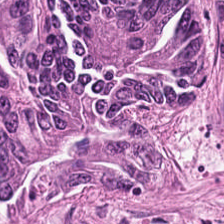Hematoxylin and eosin — Histology — adenocarcinoma.
